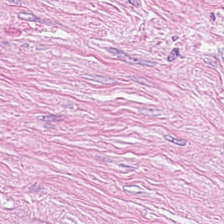Stain: hematoxylin and eosin.
Predominant tissue: tumor-associated stroma.
